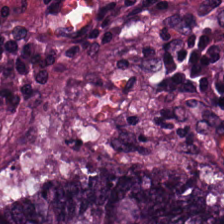FFPE. H&E. Brightfield — The predominant tissue is malignant epithelium.
